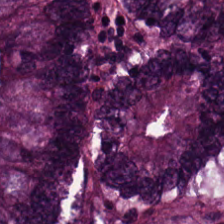224×224 pixel tile · H&E stain · brightfield microscopy. Showing adenocarcinoma.
